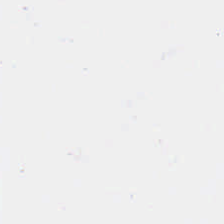224×224 pixel tile; hematoxylin and eosin; whole-slide-image patch — Q: What does this patch show?
A: The field shows empty background.
